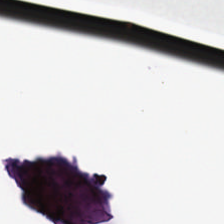Hematoxylin-and-eosin stained section; 224×224 px patch. This patch shows background.
